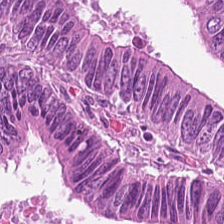H&E.
Finding — colorectal adenocarcinoma epithelium.
